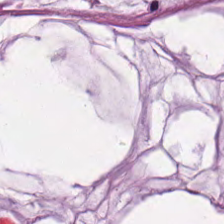H&E stain. The predominant tissue is extracellular mucin.
